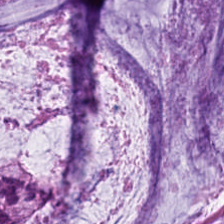H&E — This patch shows extracellular mucin.
